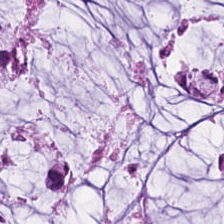Hematoxylin-and-eosin stained section; 0.5 µm per pixel. Predominantly mucin.
